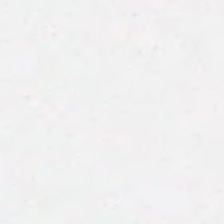H&E stain.
Q: What does this patch show?
A: The field shows background.
